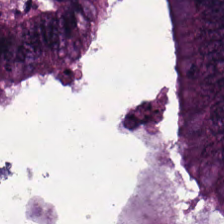FFPE tissue section. Hematoxylin and eosin. 224×224 px tile — Showing colorectal adenocarcinoma.
